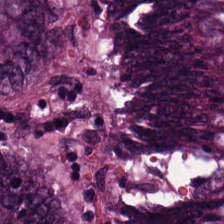H&E.
The predominant tissue is malignant epithelium.
